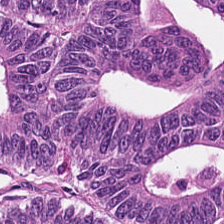Hematoxylin and eosin.
Predominantly colorectal adenocarcinoma epithelium.
